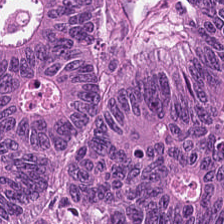Stain: hematoxylin-and-eosin stained section.
Tissue: colorectal adenocarcinoma epithelium.
